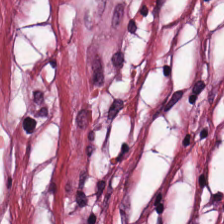H&E-stained tissue section.
Tumor-associated stroma.
